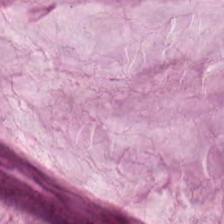Histology → extracellular mucin.
